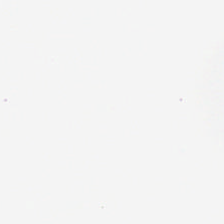Hematoxylin and eosin; brightfield.
The content is empty background.
